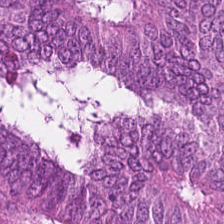Brightfield microscopy. H&E stain.
Tissue class = tumor epithelium.
